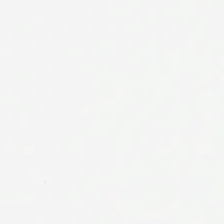H&E-stained tissue section — Content = background (no tissue).
